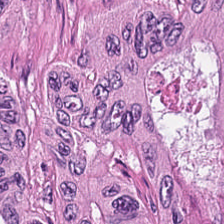224×224 pixel tile; H&E.
{"tissue_type": "malignant epithelium"}
